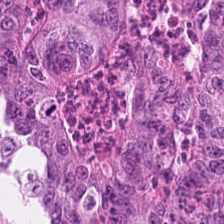Hematoxylin and eosin. 224×224 px patch — Tissue class: tumor epithelium.
